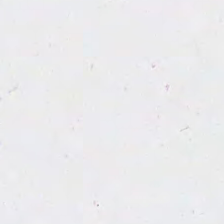H&E — Field content: background (no tissue).
